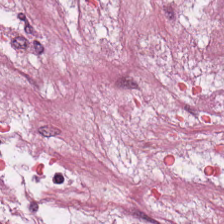This patch shows tumor stroma.
